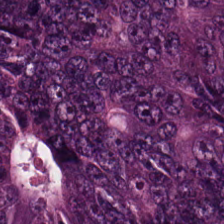Hematoxylin and eosin. Q: What is the predominant tissue type?
A: This is malignant epithelium.
